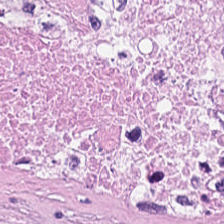Q: What tissue type is shown here?
A: This is cellular debris.
